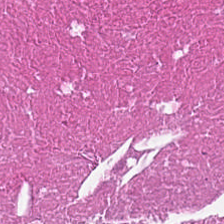Stain: H&E-stained tissue section.
Tissue: necrotic debris.
